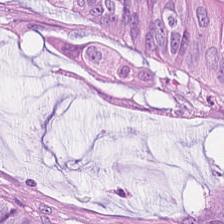Tissue = malignant epithelium.
